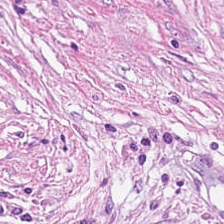Whole-slide-image patch. H&E-stained tissue section — Tissue class = tumor stroma.
